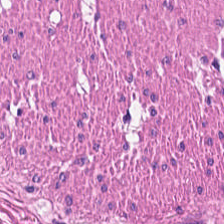Smooth-muscle tissue.
